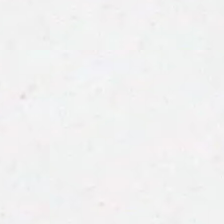Hematoxylin-and-eosin stained section — Background — no tissue in this field.
